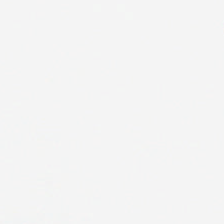Histology — empty background.
